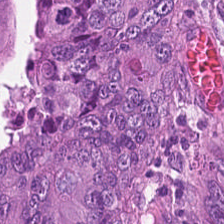WSI patch; H&E-stained tissue section.
Impression — tumor epithelium.
